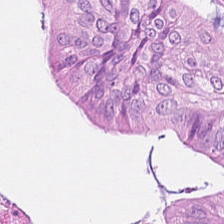H&E-stained tissue section. 0.5 microns per pixel.
The tissue is colorectal adenocarcinoma.
